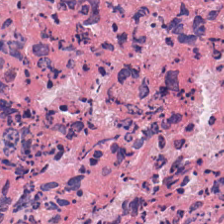Hematoxylin and eosin.
Tissue: cellular debris.
